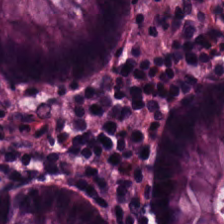Q: What does this patch show?
A: It is normal colonic mucosa.
